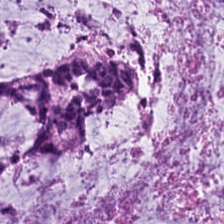H&E.
Tissue type — extracellular mucin.
